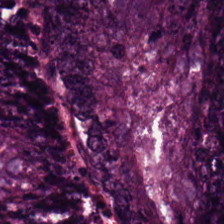Tissue type — colorectal adenocarcinoma epithelium.
